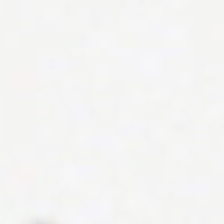H&E. Finding → background (no tissue).
